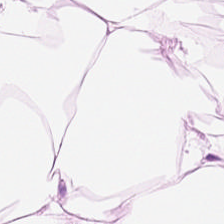Hematoxylin-and-eosin stained section · brightfield microscopy.
Adipocytes.
